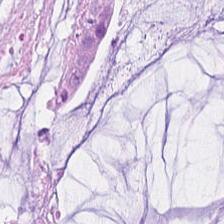The predominant tissue is extracellular mucin.
